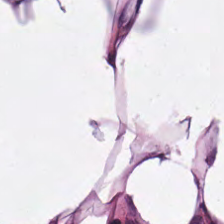H&E.
Predominant tissue: adipose tissue.
